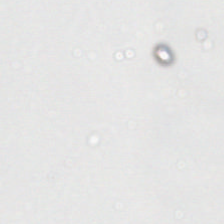Stain: H&E.
Content: empty background.
